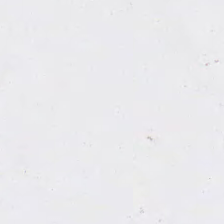H&E. The classification is background.
